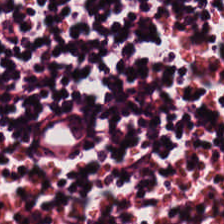H&E-stained tissue section. Tissue class = lymphocytic infiltrate.
